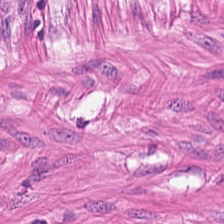H&E-stained tissue section. The tissue is muscularis.
